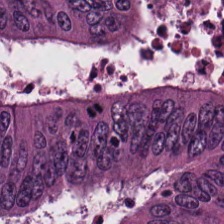Hematoxylin and eosin. FFPE. {"tissue_type": "colorectal adenocarcinoma epithelium"}
